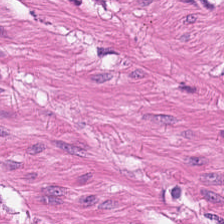H&E · 224×224 px patch — Predominantly muscularis.
